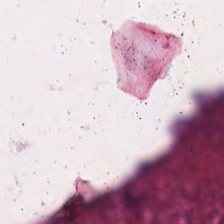H&E. 20× equivalent magnification. 224×224 px tile — Q: What is shown here?
A: Necrotic debris.
